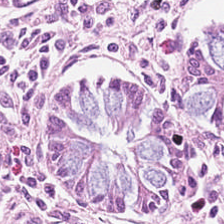H&E-stained tissue section. This patch shows benign colonic mucosa.
